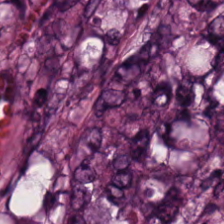H&E-stained tissue section · 224×224 pixel tile. The predominant tissue is tumor epithelium.
